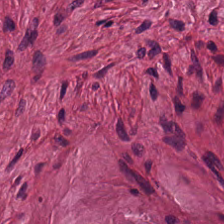Tissue class = cancer-associated stroma.
